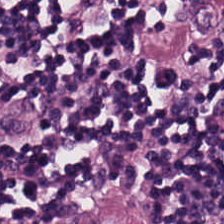This patch shows lymphocytic infiltrate.
